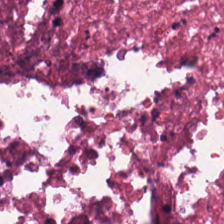Impression → cellular debris.
